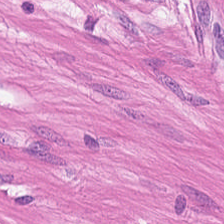Hematoxylin-and-eosin stained section. The classification is smooth-muscle tissue.
